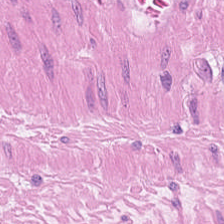H&E-stained tissue section. 20× equivalent magnification.
Smooth muscle.
